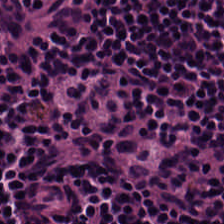Stain: H&E stain.
Tissue class: lymphocyte aggregate.
